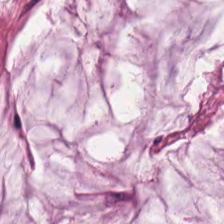H&E — {"tissue_type": "mucus"}
